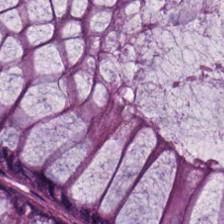H&E-stained tissue section.
This field is normal colon mucosa.
